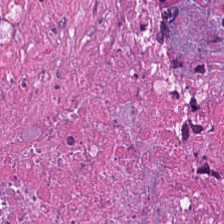Whole-slide-image patch · hematoxylin and eosin · 0.5 µm per pixel.
Cellular debris.
